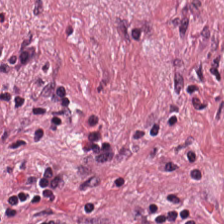Hematoxylin-and-eosin stained section — The predominant tissue is tumor stroma.
